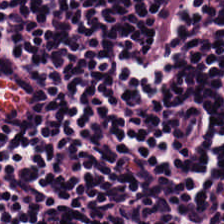H&E stain · 0.5 microns per pixel · FFPE tissue section. Tissue class: lymphocytic infiltrate.
